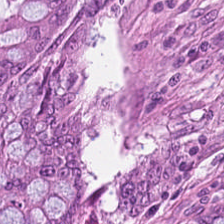Hematoxylin and eosin. Whole-slide-image patch.
Finding — malignant epithelium.
